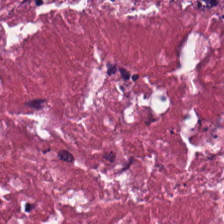H&E; 0.5 µm per pixel. The predominant tissue is cellular debris.
